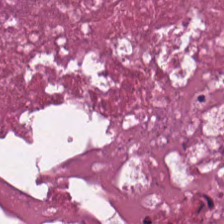Stain: hematoxylin and eosin.
Tissue class: debris.
